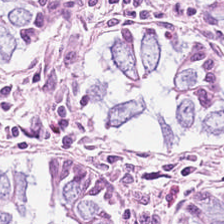Hematoxylin and eosin. FFPE tissue section. Brightfield.
Predominant tissue — normal colonic mucosa.
